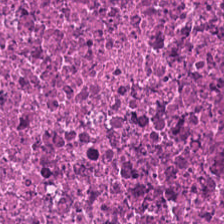Hematoxylin-and-eosin stained section · 224×224 px tile · 20× equivalent magnification — Tissue type — debris.
